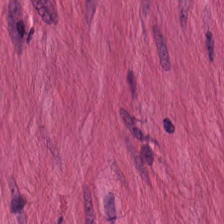Formalin-fixed paraffin-embedded section. WSI patch. Hematoxylin-and-eosin stained section — This field is smooth-muscle tissue.
